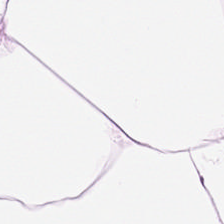H&E-stained tissue section; 0.5 µm per pixel — Showing adipocytes.
